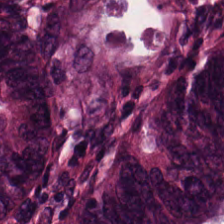Hematoxylin-and-eosin stained section.
Tissue class = colorectal adenocarcinoma epithelium.
